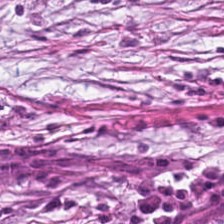H&E-stained tissue section. Q: What is shown here?
A: It is tumor stroma.
